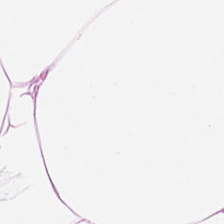H&E stain.
Tissue class: adipose tissue.
